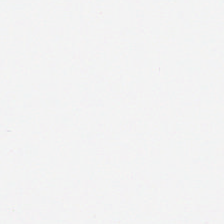Q: What is shown in this field?
A: It is no tissue.
